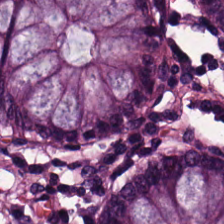Hematoxylin-and-eosin stained section.
Impression — normal colonic mucosa.
